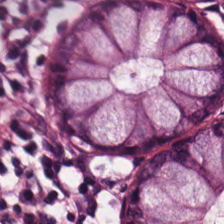Hematoxylin-and-eosin stained section.
{"tissue_type": "benign colonic mucosa"}
